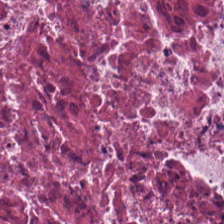Q: Identify the tissue.
A: The field shows necrotic debris.
